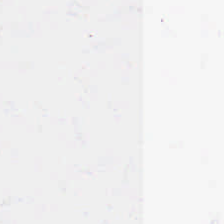H&E stain. Background.
